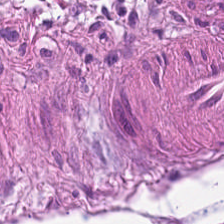Stain: hematoxylin-and-eosin stained section.
Acquisition: whole-slide-image patch.
Classification: smooth-muscle tissue.
